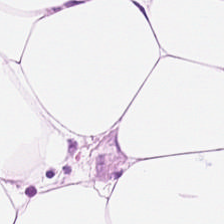Stain: H&E.
Acquisition: brightfield.
Tissue type: fat tissue.
